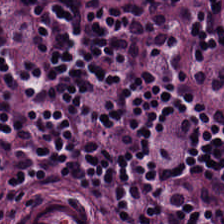This patch shows lymphocytes.
